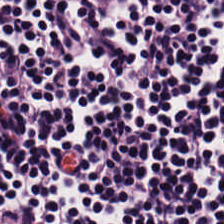Tissue class — lymphocytic infiltrate.
